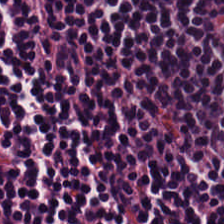Hematoxylin-and-eosin stained section — Predominantly lymphocyte aggregate.
